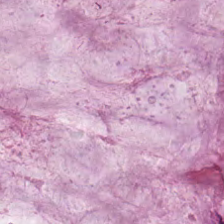Stain: hematoxylin-and-eosin stained section.
Acquisition: brightfield microscopy.
Preparation: FFPE tissue section.
Tissue type: mucin.
